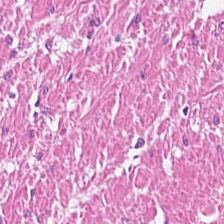H&E stain · WSI patch · 0.5 microns per pixel. Tissue class: smooth-muscle tissue.
